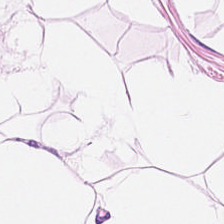H&E · FFPE — Impression → fat tissue.
